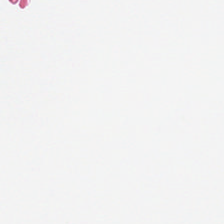Hematoxylin and eosin.
Impression — background (no tissue).
